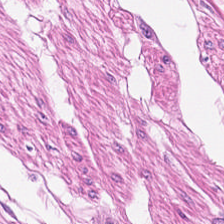Brightfield · H&E stain — Showing muscularis.
